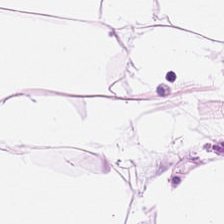Adipocytes.
